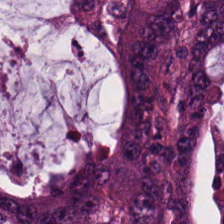0.5 µm/px. Hematoxylin and eosin. Formalin-fixed paraffin-embedded section.
Tissue type = colorectal adenocarcinoma.
